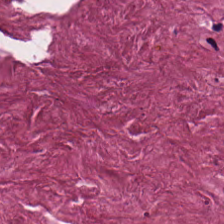The classification is tumor-associated stroma.
